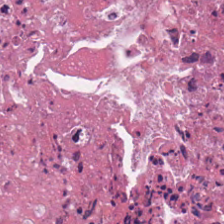H&E-stained section; the field shows necrotic debris.
